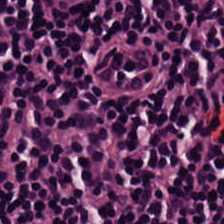WSI patch · H&E-stained tissue section — Q: What is the predominant tissue type?
A: This is lymphocyte aggregate.
